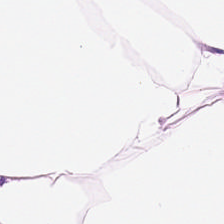Hematoxylin-and-eosin stained section — {"tissue_type": "adipose"}
